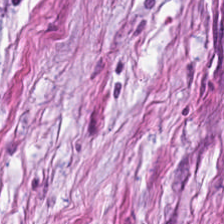Hematoxylin and eosin — Histology → tumor-associated stroma.
